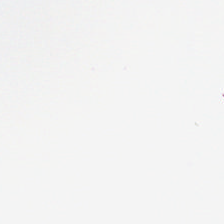H&E.
No tissue.
